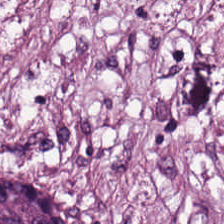H&E-stained tissue section — Showing cancer-associated stroma.
